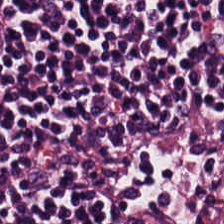Hematoxylin-and-eosin stained section. Tissue = lymphocyte aggregate.
